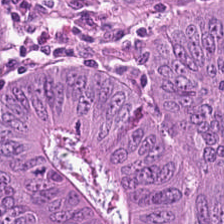Hematoxylin and eosin. Predominantly tumor epithelium.
